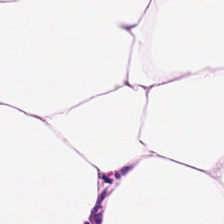H&E stain. 0.5 µm/px — This field is fat tissue.
